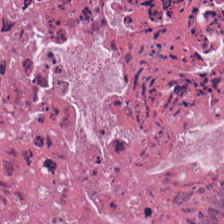Cellular debris.
